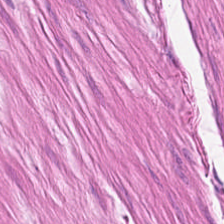H&E.
This field is smooth-muscle tissue.
